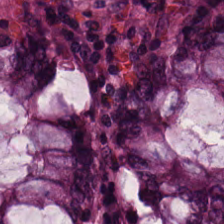The classification is non-neoplastic colon mucosa.
